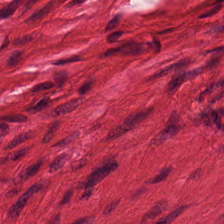This patch shows smooth-muscle tissue.
